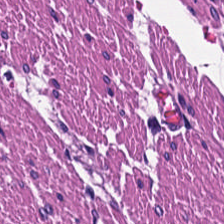H&E stain · 224×224 px tile · brightfield.
Q: What type of tissue is this?
A: This is muscularis.
